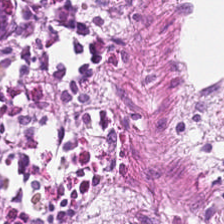Histology → normal colon mucosa.
